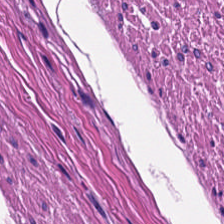Tissue class = smooth muscle.
